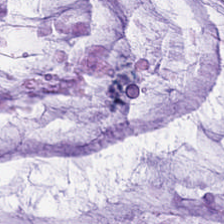Classification = mucus.
